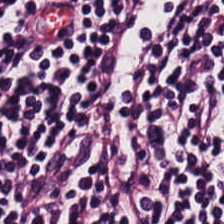H&E-stained tissue section; formalin-fixed paraffin-embedded section. Q: What tissue type is shown here?
A: This is lymphocyte aggregate.
